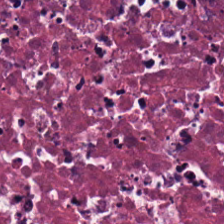Stain: hematoxylin-and-eosin stained section.
Predominant tissue: debris.
